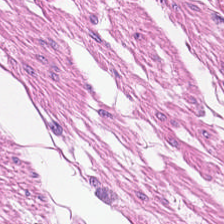Hematoxylin-and-eosin stained section — Finding — muscularis.
